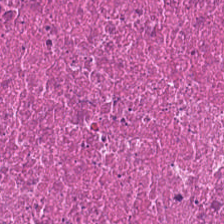Q: Identify the tissue.
A: Cellular debris.
